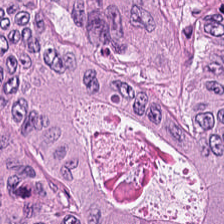224×224 pixel tile · H&E · 0.5 µm/px.
Q: Classify this patch.
A: This is colorectal adenocarcinoma epithelium.
